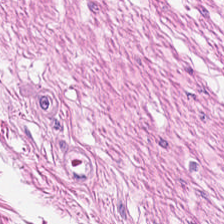Hematoxylin and eosin — This field is smooth-muscle tissue.
